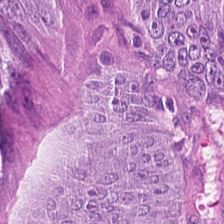H&E-stained tissue section.
Predominantly adenocarcinoma.
